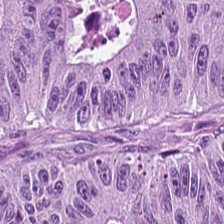Hematoxylin-and-eosin stained section — This patch shows malignant epithelium.
